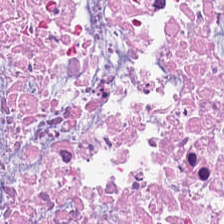Hematoxylin-and-eosin stained section. 20× equivalent magnification.
The tissue class is cellular debris.
